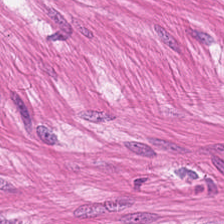Hematoxylin and eosin; brightfield microscopy — Histology — smooth muscle.
